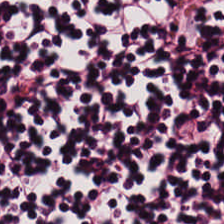H&E; 0.5 microns per pixel.
Finding → lymphocytes.
